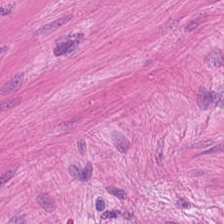Hematoxylin and eosin; WSI patch; 224×224 px patch. This field is smooth muscle.
